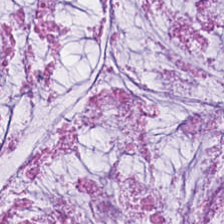Hematoxylin and eosin · brightfield — Predominantly extracellular mucin.
